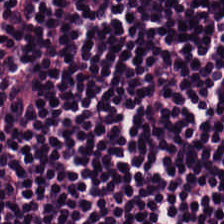H&E stain. FFPE — The tissue here is lymphocytes.
